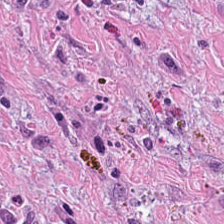Stain: H&E-stained tissue section.
Tile size: 224×224 px patch.
Tissue: tumor stroma.
